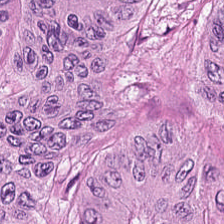H&E stain · FFPE tissue section — The tissue class is malignant epithelium.
